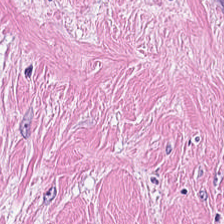0.5 microns per pixel. H&E. Formalin-fixed paraffin-embedded section — Tissue type: tumor stroma.
